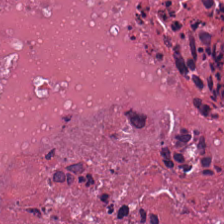Hematoxylin-and-eosin stained section — Impression — cellular debris.
